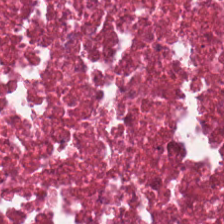H&E-stained tissue section.
The tissue here is debris.
